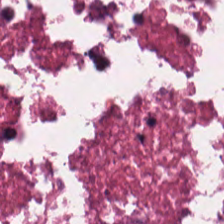Hematoxylin and eosin.
{"tissue_type": "cellular debris"}
